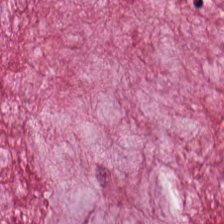Hematoxylin and eosin — Showing mucin.
